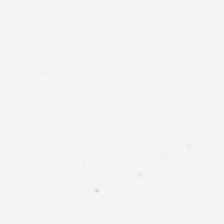0.5 microns per pixel · H&E · whole-slide-image patch.
No tissue present; background only.
